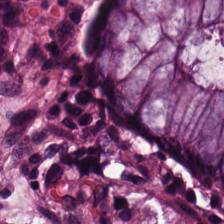H&E-stained tissue section.
The tissue class is normal colonic mucosa.
